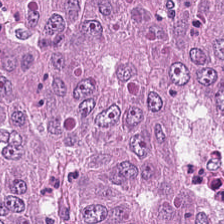Hematoxylin and eosin.
The predominant tissue is adenocarcinoma.
